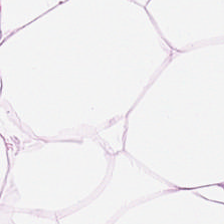Classification — adipose tissue.
